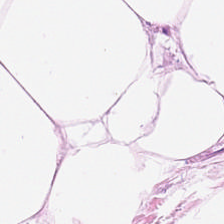Hematoxylin and eosin.
The tissue here is adipocytes.
